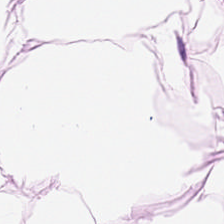Hematoxylin-and-eosin section: adipose tissue.
